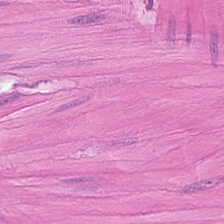H&E — Histology — smooth muscle.
